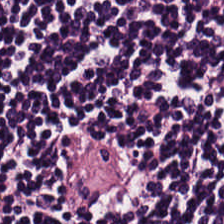H&E-stained tissue section.
The tissue here is lymphoid infiltrate.
